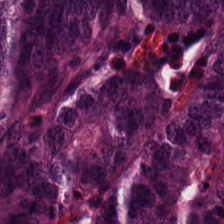H&E — Showing colorectal adenocarcinoma epithelium.
